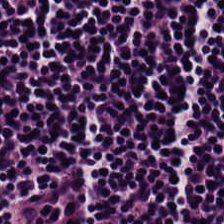Hematoxylin and eosin. 224×224 pixel tile — Impression — lymphoid infiltrate.
